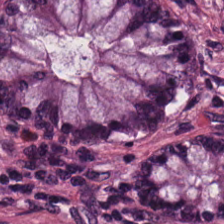Histology — normal colonic mucosa.
